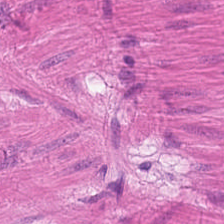Stain: hematoxylin and eosin.
Resolution: 0.5 µm/px.
Preparation: formalin-fixed paraffin-embedded section.
Tissue class: smooth-muscle tissue.
